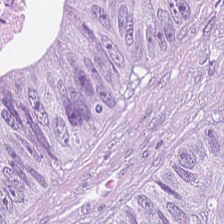{"tissue_type": "malignant epithelium"}
